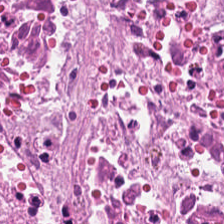Stain: hematoxylin-and-eosin stained section.
Resolution: 20× equivalent magnification.
Acquisition: WSI patch.
Tissue: cellular debris.
